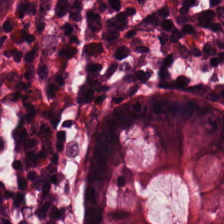Formalin-fixed paraffin-embedded section; WSI patch; H&E stain. Histology → normal colon mucosa.
